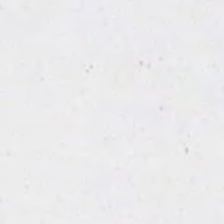This field is background (no tissue).
